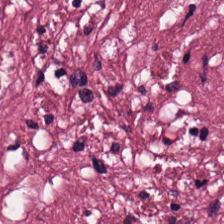Hematoxylin and eosin.
Tumor-associated stroma.
